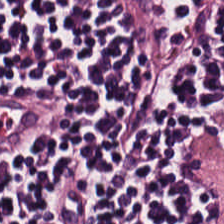Hematoxylin and eosin. Formalin-fixed paraffin-embedded section. 0.5 µm/px.
This patch shows lymphocyte aggregate.
